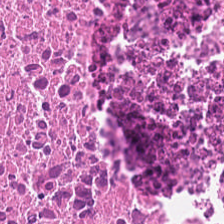The predominant tissue is debris.
